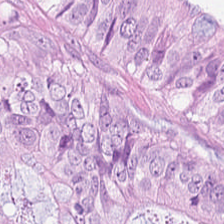H&E-stained tissue section; brightfield microscopy; 224×224 px tile. Predominantly adenocarcinoma.
